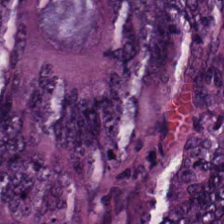224×224 px tile; H&E-stained tissue section — {"tissue_type": "colorectal adenocarcinoma epithelium"}
